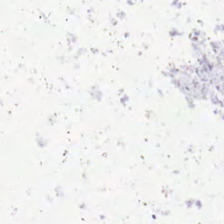H&E-stained tissue section.
Content: background.
